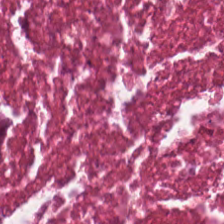FFPE; hematoxylin and eosin; 0.5 µm/px — Predominant tissue: debris.
